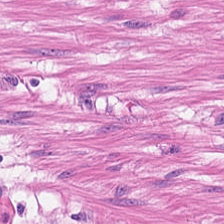FFPE tissue section. H&E-stained tissue section.
{"tissue_type": "smooth-muscle tissue"}
